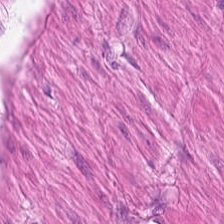H&E stain. 224×224 px tile. Tissue type — smooth muscle.
